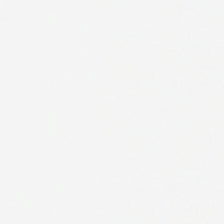Hematoxylin-and-eosin stained section — The field content is no tissue.
